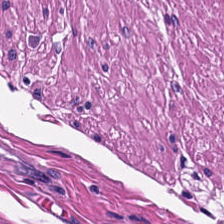Hematoxylin-and-eosin stained section — {"tissue_type": "smooth-muscle tissue"}
